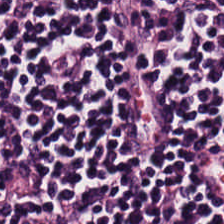Formalin-fixed paraffin-embedded section · 224×224 px tile · hematoxylin-and-eosin stained section. Classification — lymphoid infiltrate.
